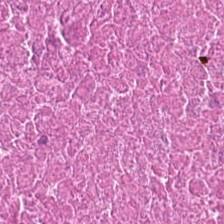H&E stain. Cellular debris.
